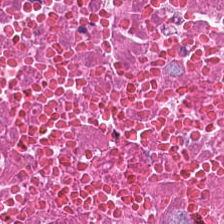Stain: H&E-stained tissue section.
Tile size: 224×224 px tile.
Tissue type: debris.
